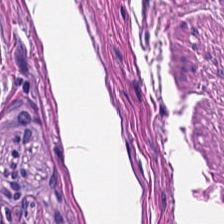H&E. FFPE — The predominant tissue is smooth muscle.
